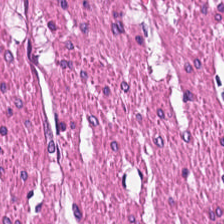Predominantly muscularis.
